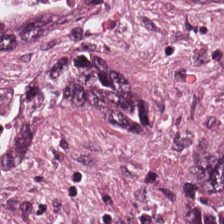Hematoxylin-and-eosin stained section.
Classification: colorectal adenocarcinoma.
